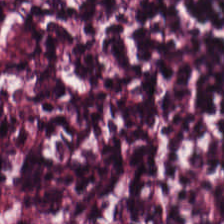Finding → lymphocytes.
